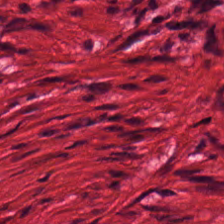Q: What does this patch show?
A: The field shows smooth-muscle tissue.
